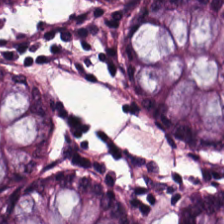H&E stain — Tissue class — non-neoplastic colon mucosa.
